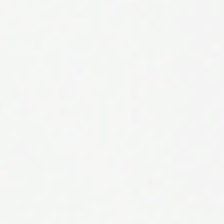0.5 µm/px; hematoxylin and eosin. This patch shows empty background.
